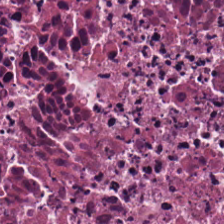Histology — necrotic debris.
